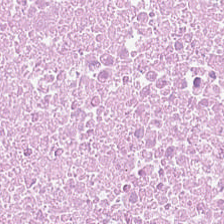H&E-stained tissue section; FFPE.
Q: What is shown in this field?
A: The field shows necrotic debris.
